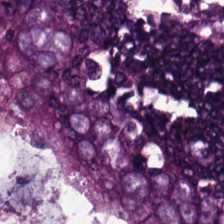H&E-stained tissue section.
This patch shows malignant epithelium.
